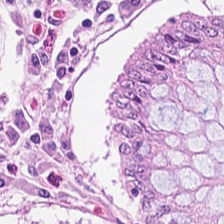H&E stain. 0.5 microns per pixel. FFPE tissue section.
Tissue type — normal colonic mucosa.
